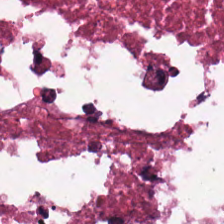FFPE; hematoxylin-and-eosin stained section. Finding → debris.
